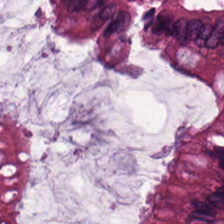Formalin-fixed paraffin-embedded section. H&E stain.
Predominant tissue — benign colonic mucosa.
